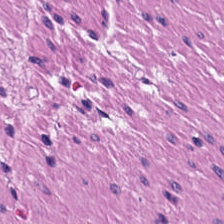The classification is smooth muscle.
